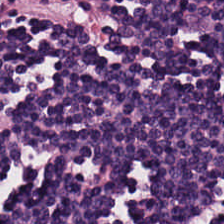Brightfield; H&E-stained tissue section; 0.5 µm per pixel.
Predominant tissue = lymphocytes.
